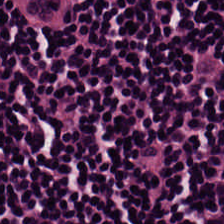Hematoxylin and eosin · 224×224 pixel tile · FFPE — Predominantly lymphocytic infiltrate.
